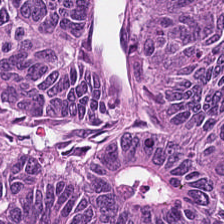H&E — Showing colorectal adenocarcinoma.
